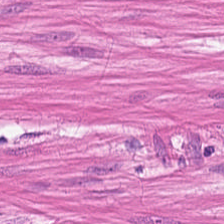Hematoxylin and eosin. This patch shows muscularis.
